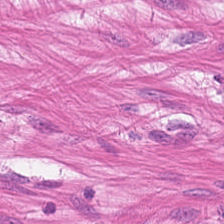Stain: H&E.
Tile size: 224×224 px patch.
Tissue type: muscularis.
